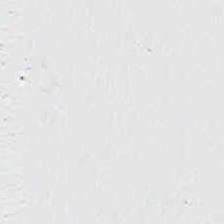Stain: H&E-stained tissue section.
Resolution: 20× equivalent magnification.
Classification: background.
